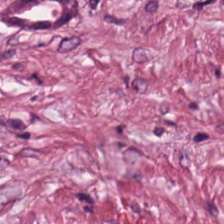224×224 px patch; hematoxylin and eosin; FFPE tissue section — Tumor stroma.
